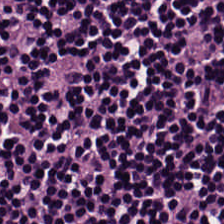H&E stain. 224×224 px tile. Brightfield — The predominant tissue is lymphocytes.
